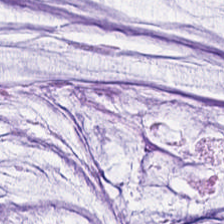Q: Classify this patch.
A: The field shows mucin.
